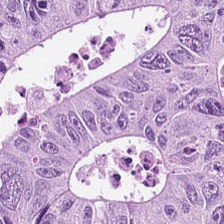Tissue class = tumor epithelium.
